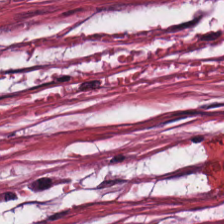Formalin-fixed paraffin-embedded section; hematoxylin-and-eosin stained section — Predominantly tumor stroma.
